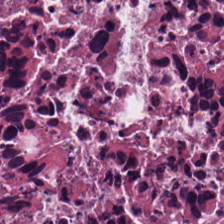Hematoxylin and eosin · brightfield.
This field is debris.
